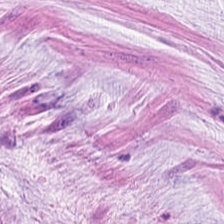Stain: H&E stain.
Acquisition: WSI patch.
Tile size: 224×224 px tile.
Tissue class: mucin.
